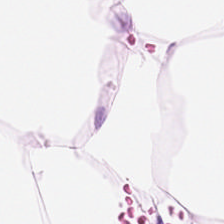H&E stain — Finding → adipose.
